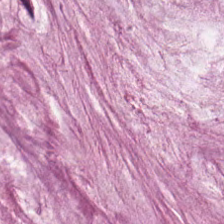H&E. 224×224 pixel tile.
Predominantly mucin.
